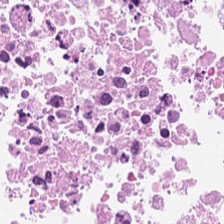Stain: H&E.
Predominant tissue: necrotic debris.
